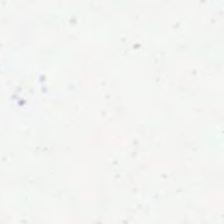0.5 µm per pixel. H&E stain — Q: Classify this patch.
A: This is no tissue.
